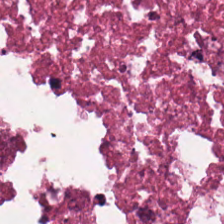H&E stain. 224×224 px tile. Brightfield.
Q: What is shown here?
A: The field shows cellular debris.
